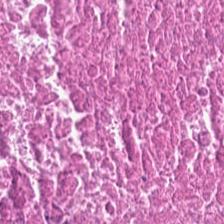Hematoxylin and eosin. Q: What tissue type is shown here?
A: The field shows cellular debris.
